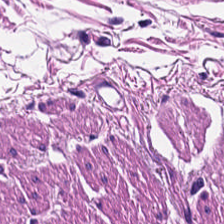H&E stain — Showing smooth muscle.
